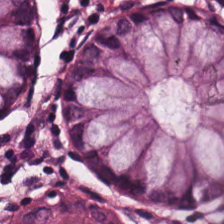H&E-stained tissue section — Tissue type: normal colon mucosa.
